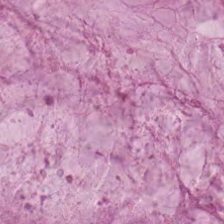224×224 px tile; hematoxylin and eosin.
Q: What is the predominant tissue type?
A: The field shows mucus.
